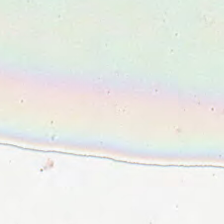224×224 px patch; H&E.
{"content": "empty background"}
